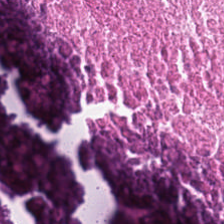FFPE · hematoxylin-and-eosin stained section · 224×224 px tile. This patch shows necrotic debris.
